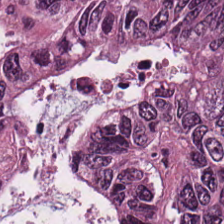Tissue class: colorectal adenocarcinoma epithelium.
